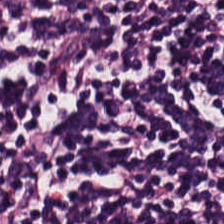Stain: hematoxylin and eosin.
Predominant tissue: lymphocytes.
